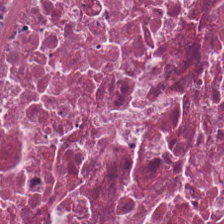H&E stain. Histology → debris.
